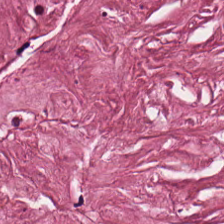Cancer-associated stroma.
